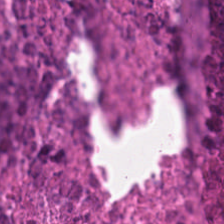Stain: H&E-stained tissue section.
Tile size: 224×224 px tile.
Tissue class: cellular debris.
